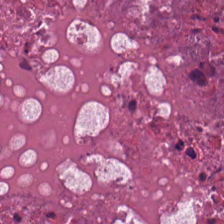FFPE. H&E.
Histology — debris.
